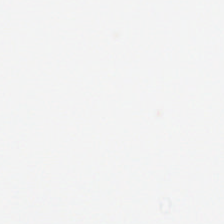Brightfield; 0.5 microns per pixel; hematoxylin and eosin. Q: What is shown in this field?
A: The field shows empty background.
